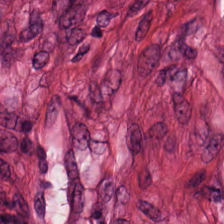{"tissue_type": "cancer-associated stroma"}
